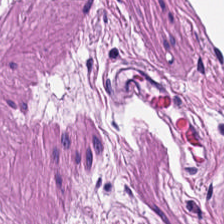FFPE tissue section. Hematoxylin and eosin — The predominant tissue is smooth muscle.
